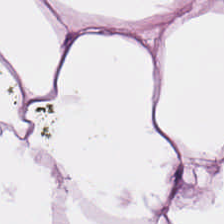Stain: hematoxylin-and-eosin stained section.
Tissue class: fat tissue.
